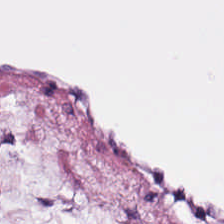Hematoxylin and eosin.
{"tissue_type": "adipocytes"}
